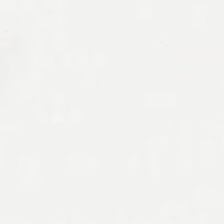FFPE tissue section. H&E — Finding — background.
